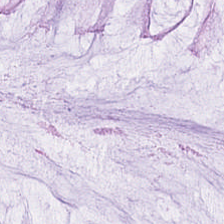H&E — Q: What tissue is shown?
A: Benign colonic mucosa.
